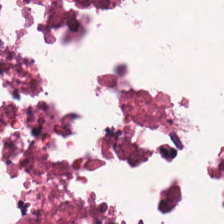224×224 px patch; WSI patch; hematoxylin and eosin — Predominant tissue = debris.
